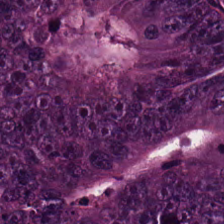Stain: hematoxylin-and-eosin stained section.
Classification: colorectal adenocarcinoma epithelium.
